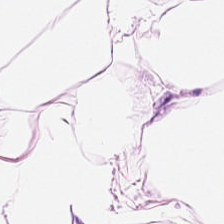Brightfield. 0.5 µm/px. Hematoxylin-and-eosin stained section.
Q: What is shown here?
A: It is fat tissue.
